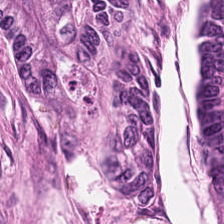Tissue class = colorectal adenocarcinoma.
